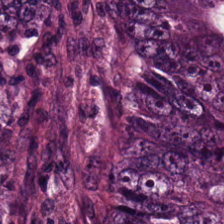224×224 pixel tile; H&E stain; 0.5 µm per pixel. {"tissue_type": "colorectal adenocarcinoma epithelium"}
